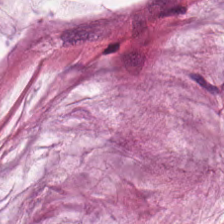0.5 µm/px; FFPE; hematoxylin and eosin — Predominant tissue = extracellular mucin.
